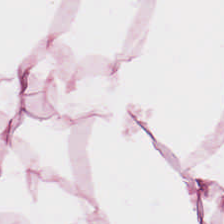Hematoxylin-and-eosin stained section. FFPE.
The tissue here is adipocytes.
